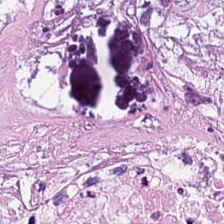224×224 pixel tile. H&E. Impression → debris.
